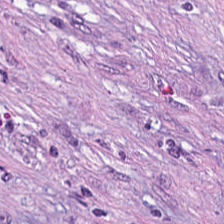Stain: H&E stain.
Tissue class: cancer-associated stroma.
